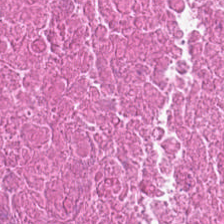Tissue class: necrotic debris.
